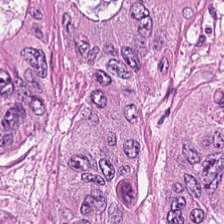{"tissue_type": "colorectal adenocarcinoma epithelium"}
